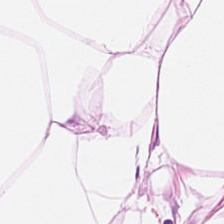Impression — adipose tissue.
